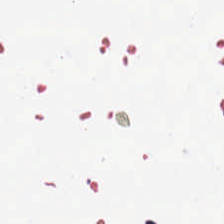H&E-stained tissue section · whole-slide-image patch. Field content = background.
